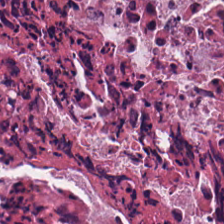Hematoxylin and eosin. Whole-slide-image patch.
Q: What tissue type is shown here?
A: This is necrotic debris.
